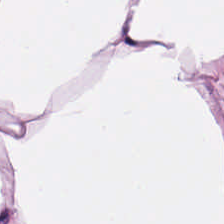Brightfield microscopy; H&E. Tissue class — adipose.
